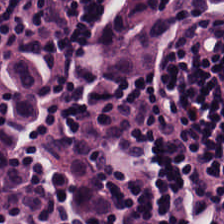H&E.
Q: Classify this patch.
A: The field shows lymphocyte aggregate.
